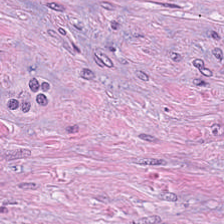FFPE; H&E. This field is tumor-associated stroma.
